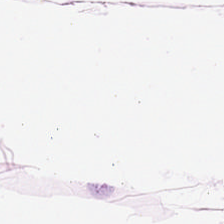H&E stain. The predominant tissue is adipose.
